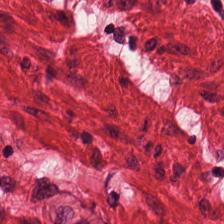WSI patch. H&E-stained tissue section. 0.5 µm/px. Showing smooth muscle.
